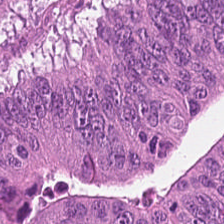Formalin-fixed paraffin-embedded section; hematoxylin-and-eosin stained section — Showing colorectal adenocarcinoma.
